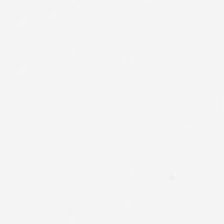Content = background (no tissue).
